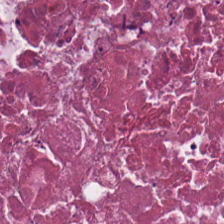H&E. 224×224 pixel tile. This field is necrotic debris.
